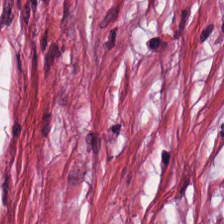H&E-stained tissue section — This field is tumor stroma.
